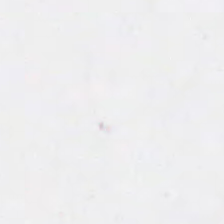Hematoxylin and eosin. Content: background.
